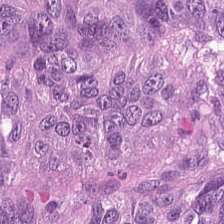H&E.
Tissue type: adenocarcinoma.
